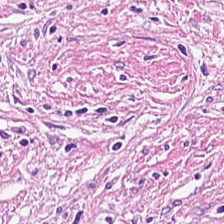Hematoxylin and eosin. 0.5 µm per pixel. FFPE. The tissue here is tumor stroma.
